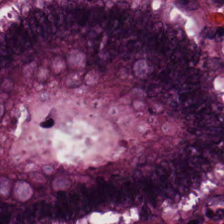Showing normal colon mucosa.
